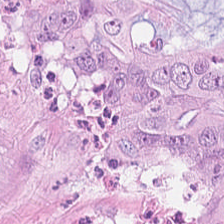H&E patch showing colorectal adenocarcinoma epithelium.
